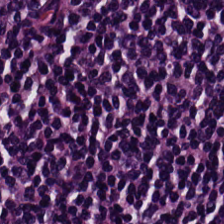Hematoxylin and eosin · brightfield microscopy · 224×224 pixel tile.
This patch shows lymphoid infiltrate.
